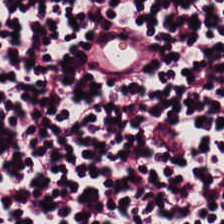H&E; 224×224 px patch.
Q: What is shown here?
A: It is lymphoid infiltrate.
